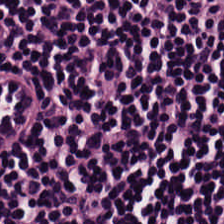Q: What does this patch show?
A: The field shows lymphocyte aggregate.
